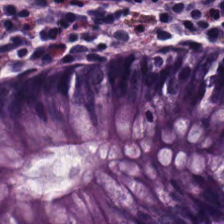Histology → normal colonic mucosa.
